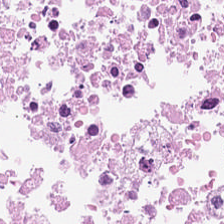Q: Classify this patch.
A: It is debris.
